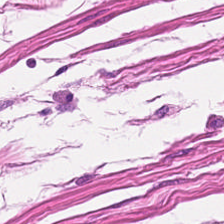Hematoxylin and eosin · brightfield microscopy · 224×224 px patch — {"tissue_type": "muscularis"}
